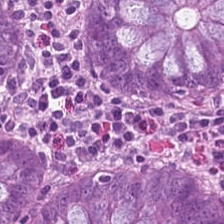Stain: hematoxylin-and-eosin stained section.
Acquisition: WSI patch.
Classification: benign colonic mucosa.
